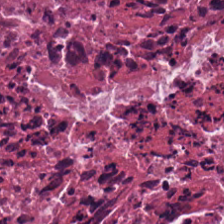H&E stain — This field is necrotic debris.
